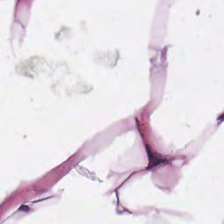Hematoxylin-and-eosin stained section.
Histology — adipose tissue.
